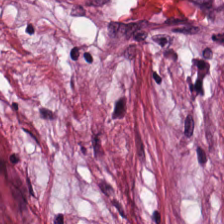Brightfield microscopy. H&E stain — Predominantly cancer-associated stroma.
